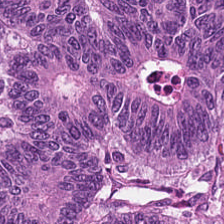Hematoxylin and eosin. 224×224 px patch.
This patch shows adenocarcinoma.
